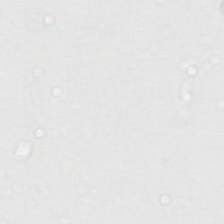H&E stain · 224×224 pixel tile.
Empty background.
